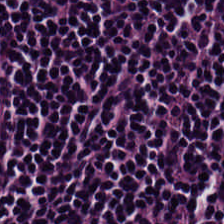Tissue type: lymphoid infiltrate.
